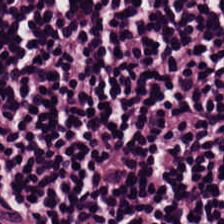Hematoxylin and eosin. The tissue here is lymphocytes.
